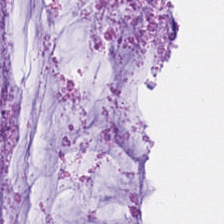H&E.
Q: What does this patch show?
A: Mucus.
